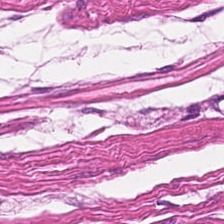H&E-stained tissue section.
Predominantly muscularis.
